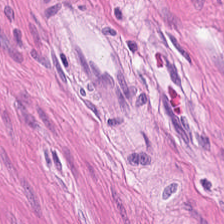H&E — Smooth-muscle tissue.
